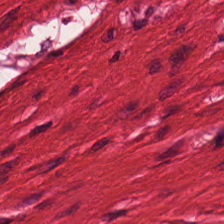Whole-slide-image patch; hematoxylin-and-eosin stained section — This patch shows smooth muscle.
